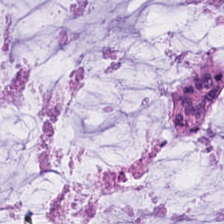H&E stain — Predominant tissue — extracellular mucin.
